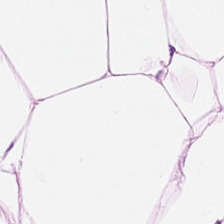Tissue class: adipocytes.
